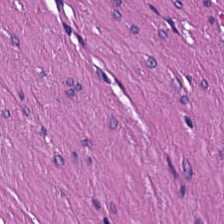Histology — muscularis.
